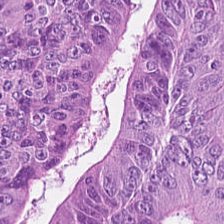Hematoxylin-and-eosin stained section — Impression → malignant epithelium.
